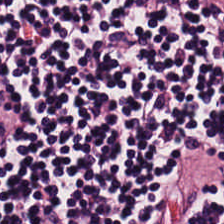224×224 px patch; H&E-stained tissue section — Tissue = lymphocytic infiltrate.
